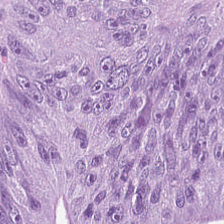H&E-stained tissue section. Showing malignant epithelium.
